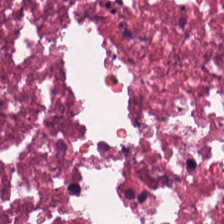H&E. Whole-slide-image patch.
The tissue here is cellular debris.
